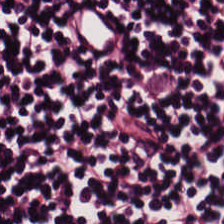WSI patch; 0.5 µm/px; hematoxylin-and-eosin stained section. This patch shows lymphocytic infiltrate.
